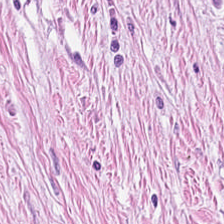Stain: hematoxylin-and-eosin stained section.
Tissue type: tumor stroma.
